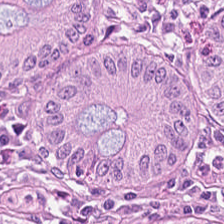0.5 µm per pixel. H&E-stained tissue section. Brightfield.
Q: What does this patch show?
A: Normal colonic mucosa.
